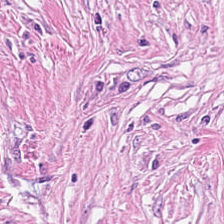H&E — Tissue type = desmoplastic stroma.
